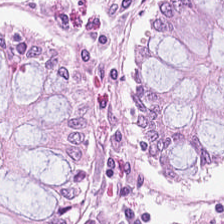Stain: hematoxylin and eosin.
Tissue type: non-neoplastic colon mucosa.
